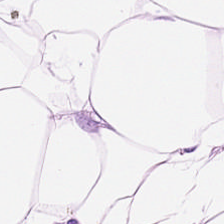0.5 µm per pixel. H&E-stained tissue section — This patch shows adipose tissue.
